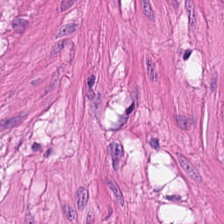Q: What is the predominant tissue type?
A: This is smooth-muscle tissue.
